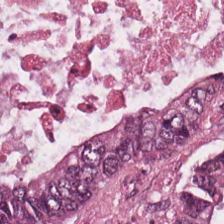Stain: hematoxylin-and-eosin stained section.
Tissue class: tumor epithelium.
